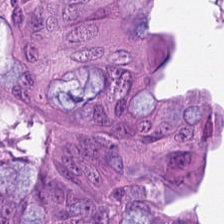H&E — This patch shows adenocarcinoma.
